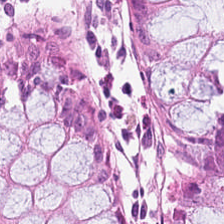Hematoxylin-and-eosin stained section; 224×224 px tile.
Normal colon mucosa.
